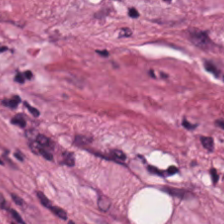224×224 pixel tile · H&E.
Tumor-associated stroma.
